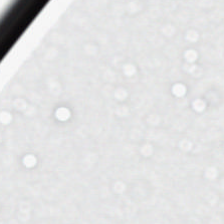Hematoxylin-and-eosin stained section — Histology → no tissue.
